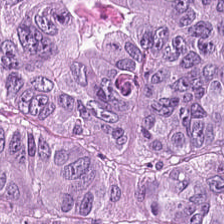224×224 px patch; hematoxylin and eosin; WSI patch. The tissue type is adenocarcinoma.
